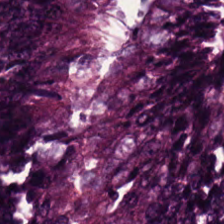H&E · brightfield microscopy — Q: What is shown here?
A: Colorectal adenocarcinoma.
